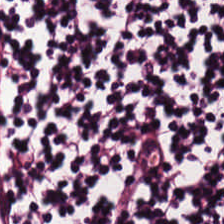Q: Classify this patch.
A: It is lymphocytic infiltrate.
